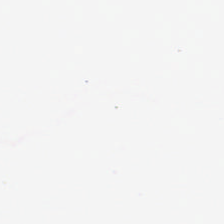Hematoxylin-and-eosin stained section. Q: What does this patch show?
A: This is empty background.
